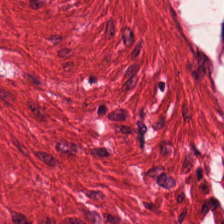Whole-slide-image patch · hematoxylin-and-eosin stained section. This field is muscularis.
